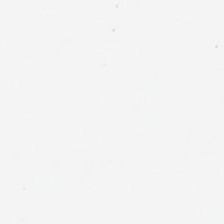224×224 px patch. Hematoxylin and eosin.
Background — no tissue in this field.
